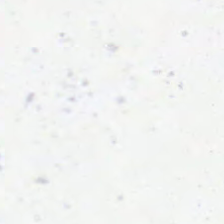This patch shows background (no tissue).
